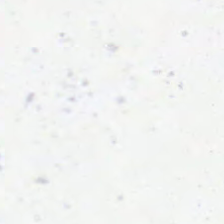This patch shows background (no tissue).
